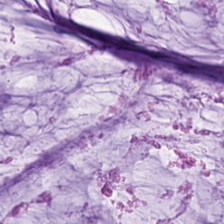Predominantly extracellular mucin.
